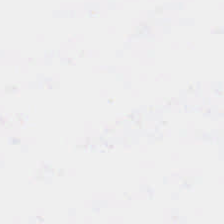Brightfield microscopy; hematoxylin and eosin; 0.5 µm per pixel — This patch shows empty background.
